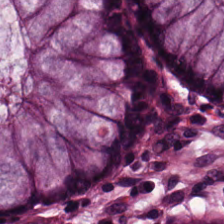Stain: H&E stain.
Predominant tissue: normal colon mucosa.
